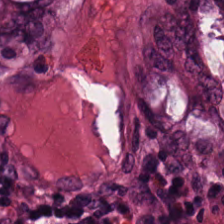H&E. Normal colon mucosa.
